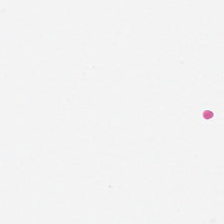H&E; FFPE tissue section — Classification: background.
